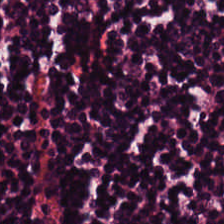The tissue type is lymphocyte aggregate.
